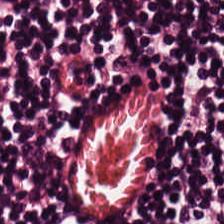H&E stain · 0.5 µm/px.
{"tissue_type": "lymphoid infiltrate"}
